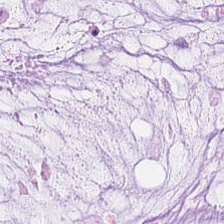H&E stain. FFPE tissue section. Tissue = mucin.
